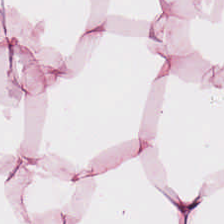H&E patch showing adipocytes.
